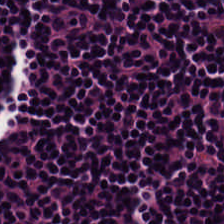H&E; 0.5 µm/px. Histology — lymphocyte aggregate.
